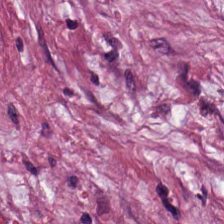224×224 px tile; hematoxylin and eosin; FFPE tissue section.
Q: What tissue type is shown here?
A: This is desmoplastic stroma.
